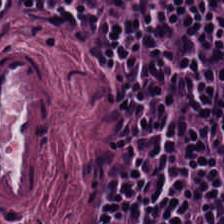Hematoxylin and eosin. Showing lymphocytes.
